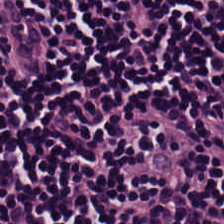Tissue class — lymphocytes.
